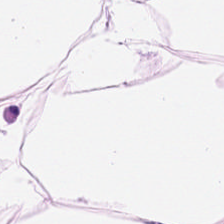H&E. Q: What tissue is shown?
A: This is fat tissue.
